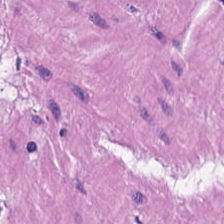Brightfield. Hematoxylin-and-eosin stained section. 224×224 px tile. Predominant tissue: muscularis.
